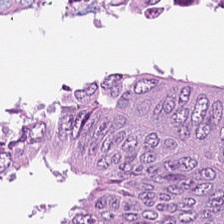Stain: H&E stain.
Classification: malignant epithelium.
